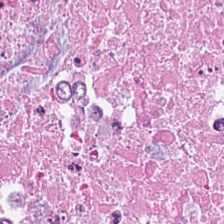H&E stain.
Debris.
